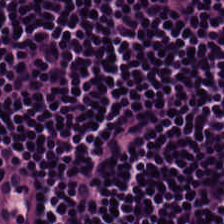Stain: H&E-stained tissue section.
Tissue: lymphocytic infiltrate.
